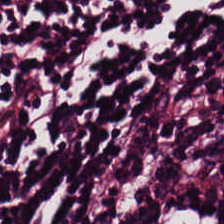H&E. This field is lymphocytes.
